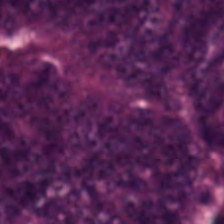H&E-stained tissue section · 0.5 µm per pixel — This field is adenocarcinoma.
